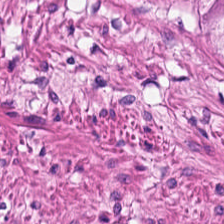Hematoxylin-and-eosin stained section. FFPE tissue section — This field is smooth-muscle tissue.
